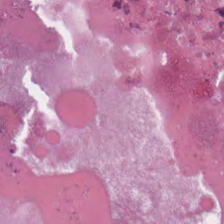Histology — debris.
